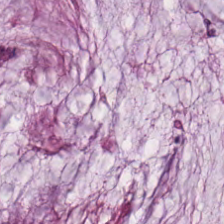20× equivalent magnification · H&E — {"tissue_type": "extracellular mucin"}
